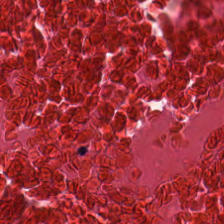Brightfield microscopy. FFPE tissue section. H&E — This field is necrotic debris.
